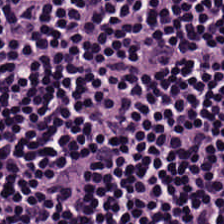Stain: H&E.
Tissue class: lymphocytes.
